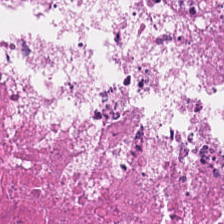Hematoxylin-and-eosin stained section.
The tissue here is cellular debris.
